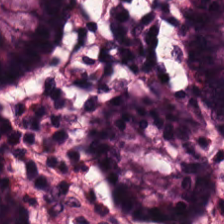FFPE tissue section. H&E. 20× equivalent magnification. This field is normal colon mucosa.
